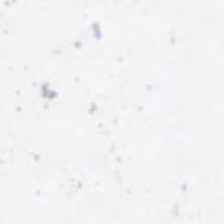H&E-stained tissue section.
Background — no tissue in this field.
